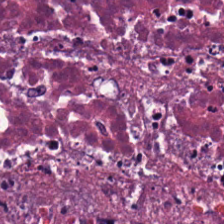20× equivalent magnification. Hematoxylin and eosin. Formalin-fixed paraffin-embedded section. The classification is debris.
